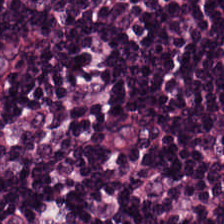Stain: H&E stain.
Preparation: FFPE.
Tissue: lymphocyte aggregate.
